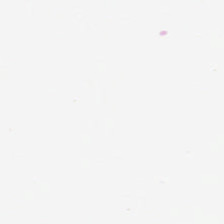H&E; FFPE tissue section; 0.5 microns per pixel. Background (no tissue).
